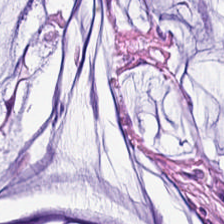H&E; 224×224 px patch — Histology → extracellular mucin.
